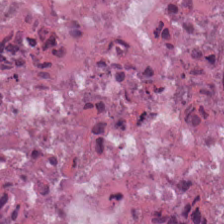Hematoxylin-and-eosin stained section.
Predominant tissue = cellular debris.
